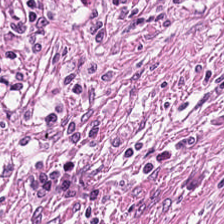Whole-slide-image patch; H&E stain.
Finding → cancer-associated stroma.
